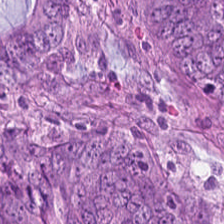H&E-stained tissue section. Histology — adenocarcinoma.
